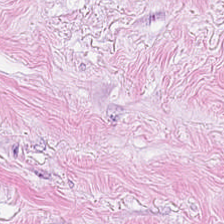H&E-stained tissue section · formalin-fixed paraffin-embedded section.
Tissue type — cancer-associated stroma.
